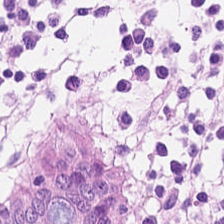Hematoxylin and eosin. 0.5 µm/px. 224×224 px tile — Q: What tissue is shown?
A: It is non-neoplastic colon mucosa.
